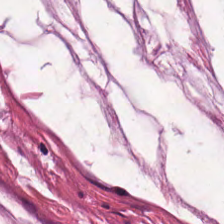H&E-stained tissue section showing extracellular mucin.
